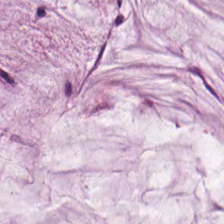20× equivalent magnification · H&E stain — Impression → extracellular mucin.
